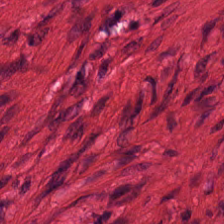Stain: H&E.
Classification: muscularis.
